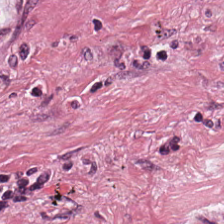Hematoxylin-and-eosin stained section.
Q: What is shown here?
A: The field shows cancer-associated stroma.
